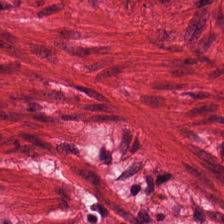224×224 px patch; 0.5 µm/px; hematoxylin-and-eosin stained section.
Finding — smooth muscle.
